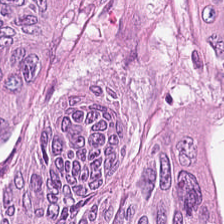Tissue type: tumor epithelium.
